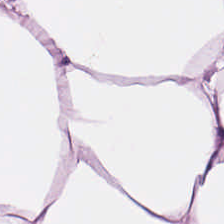Stain: H&E.
Tile size: 224×224 px tile.
Tissue type: fat tissue.
